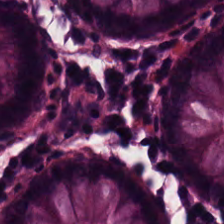H&E; 224×224 pixel tile.
Finding → normal colonic mucosa.
